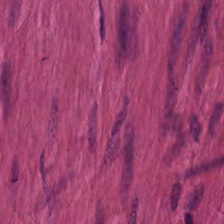Q: What type of tissue is this?
A: It is smooth muscle.
